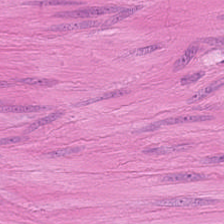H&E — The predominant tissue is muscularis.
